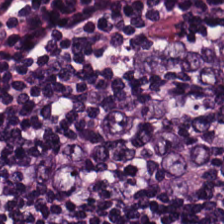Histology → lymphoid infiltrate.
